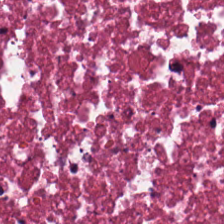Classification: necrotic debris.
